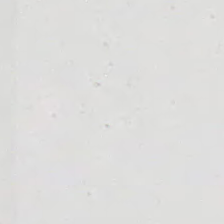H&E stain. FFPE.
{"content": "empty background"}
